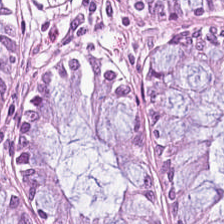This field is normal colon mucosa.
